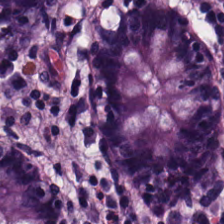H&E stain — Finding → normal colon mucosa.
